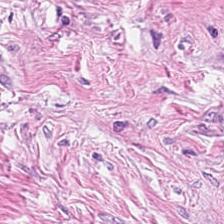H&E stain. Brightfield microscopy — The predominant tissue is tumor-associated stroma.
